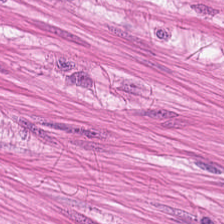H&E-stained tissue section — {"tissue_type": "muscularis"}
